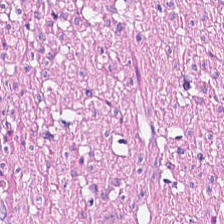Hematoxylin and eosin — Predominantly smooth muscle.
